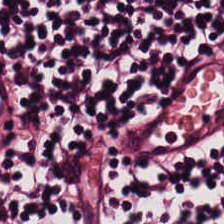Formalin-fixed paraffin-embedded section · hematoxylin and eosin. Finding — lymphocyte aggregate.
